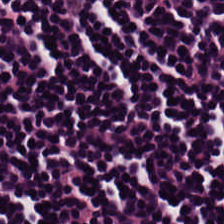Q: What is the predominant tissue type?
A: Lymphocyte aggregate.
